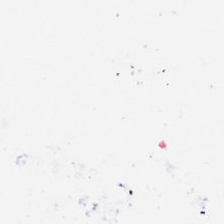Stain: H&E-stained tissue section.
Resolution: 0.5 µm/px.
Field content: empty background.
